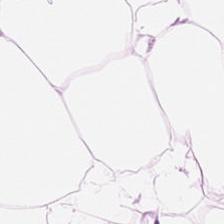Whole-slide-image patch. Formalin-fixed paraffin-embedded section. Hematoxylin and eosin — This field is fat tissue.
